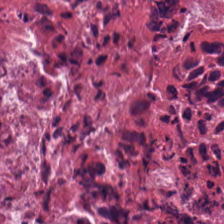H&E. 0.5 microns per pixel.
Classification — necrotic debris.
